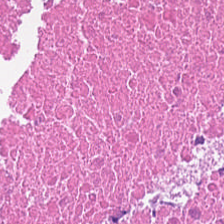This patch shows necrotic debris.
